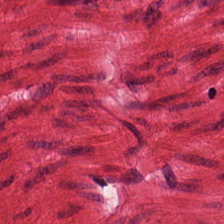H&E-stained tissue section; brightfield — Showing smooth-muscle tissue.
